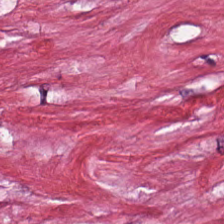H&E stain. 224×224 pixel tile. {"tissue_type": "tumor-associated stroma"}
